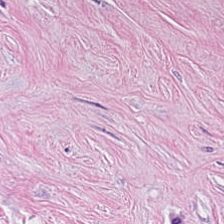Q: Classify this patch.
A: This is tumor-associated stroma.
